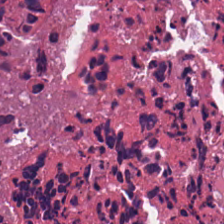Stain: hematoxylin-and-eosin stained section.
Preparation: formalin-fixed paraffin-embedded section.
Tissue class: cellular debris.
